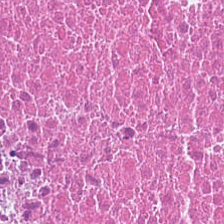0.5 µm per pixel · hematoxylin and eosin. The classification is cellular debris.
